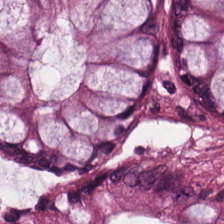H&E. The tissue class is normal colon mucosa.
